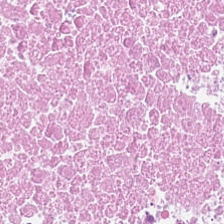H&E stain.
Q: What does this patch show?
A: This is necrotic debris.
